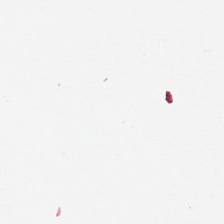Stain: H&E-stained tissue section.
Tile size: 224×224 pixel tile.
Acquisition: brightfield microscopy.
Field content: no tissue.
